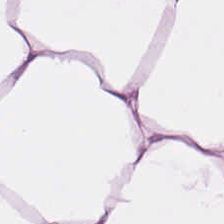224×224 px tile · H&E — Finding — adipose.
